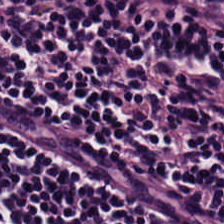H&E; brightfield — Impression — lymphocyte aggregate.
